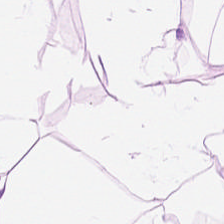H&E-stained tissue section. Adipose tissue.
